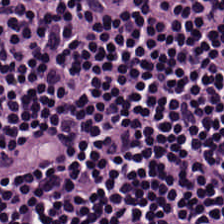0.5 µm/px. Hematoxylin-and-eosin stained section — Impression — lymphocyte aggregate.
